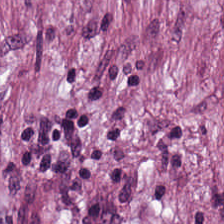H&E-stained tissue section · 0.5 µm per pixel · brightfield.
Predominant tissue — desmoplastic stroma.
